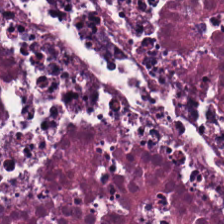Stain: hematoxylin-and-eosin stained section.
Tissue: debris.
